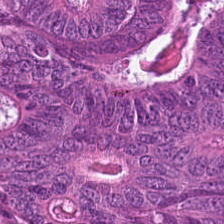Stain: hematoxylin and eosin.
Tissue: malignant epithelium.
